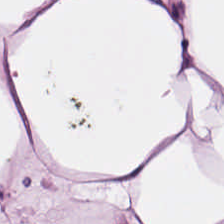Stain: H&E.
Preparation: formalin-fixed paraffin-embedded section.
Tissue class: adipocytes.
